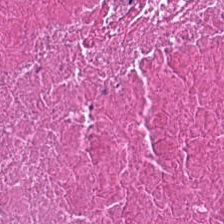H&E-stained tissue section.
Histology → necrotic debris.
